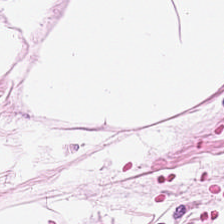H&E-stained tissue section — This patch shows adipose.
